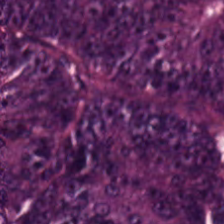Tissue class — colorectal adenocarcinoma.
